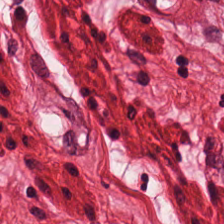This field is smooth-muscle tissue.
